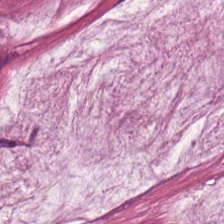H&E-stained tissue section — {"tissue_type": "mucin"}
